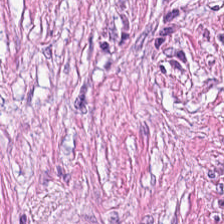224×224 px tile. Hematoxylin and eosin. 20× equivalent magnification.
{"tissue_type": "cancer-associated stroma"}
